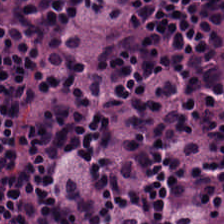Hematoxylin-and-eosin stained section.
Predominant tissue — lymphocytes.
